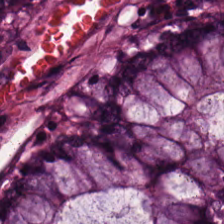Stain: hematoxylin and eosin.
Tile size: 224×224 pixel tile.
Acquisition: brightfield microscopy.
Tissue class: benign colonic mucosa.
